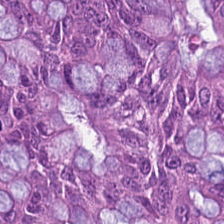Hematoxylin-and-eosin stained section. Showing adenocarcinoma.
